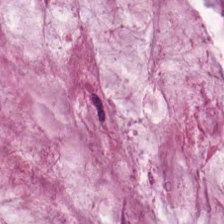H&E · FFPE tissue section.
This field is extracellular mucin.
